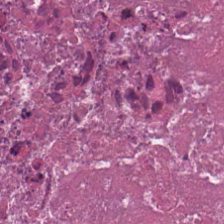H&E · brightfield microscopy. Predominant tissue: cellular debris.
